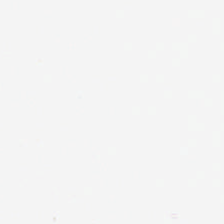This field is background (no tissue).
